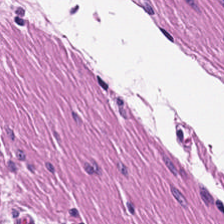H&E-stained tissue section.
Showing smooth muscle.
